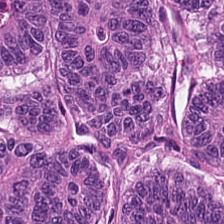Hematoxylin and eosin. 224×224 px tile. FFPE tissue section. Predominant tissue — adenocarcinoma.
